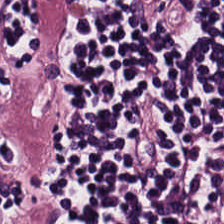Predominant tissue = lymphocytes.
